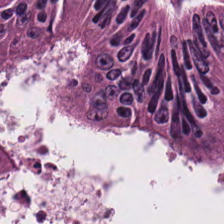H&E-stained tissue section. Finding → adenocarcinoma.
